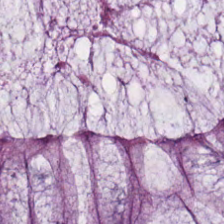The predominant tissue is benign colonic mucosa.
